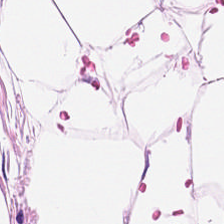FFPE tissue section; H&E; 20× equivalent magnification.
The predominant tissue is adipose.
